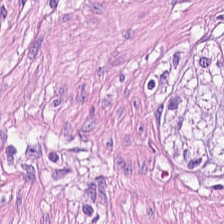H&E. Histology — smooth muscle.
